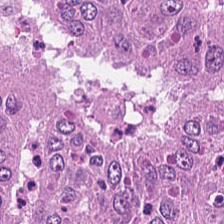224×224 px patch · H&E stain. The classification is malignant epithelium.
